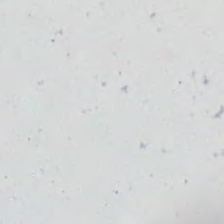Brightfield. 0.5 µm per pixel. H&E-stained tissue section.
{"content": "no tissue"}
